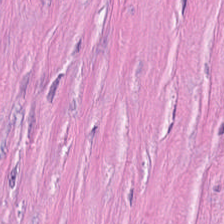0.5 µm per pixel · H&E stain — Predominant tissue: cancer-associated stroma.
